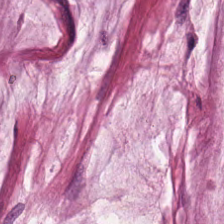FFPE tissue section · H&E.
{"tissue_type": "mucus"}
